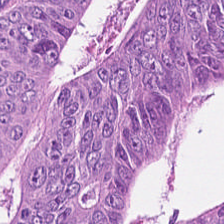H&E stain.
Tissue type = colorectal adenocarcinoma.
